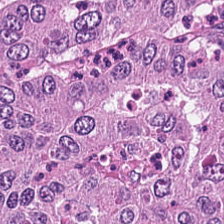The tissue here is tumor epithelium.
